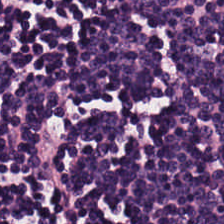Stain: hematoxylin and eosin.
Resolution: 0.5 µm per pixel.
Preparation: FFPE tissue section.
Classification: lymphoid infiltrate.
